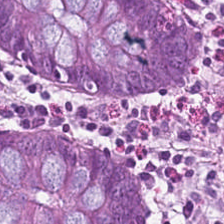FFPE. H&E. 0.5 µm/px — This field is normal colon mucosa.
